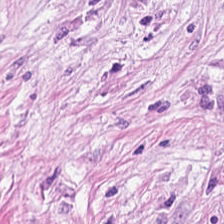Hematoxylin and eosin. Desmoplastic stroma.
